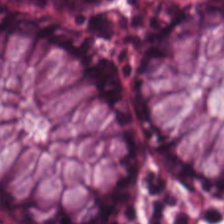H&E-stained tissue section · WSI patch.
{"tissue_type": "non-neoplastic colon mucosa"}
